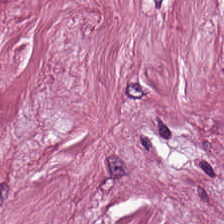Hematoxylin and eosin.
This patch shows desmoplastic stroma.
